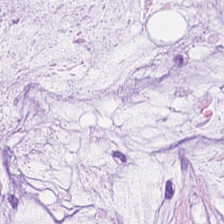H&E stain.
This field is mucus.
